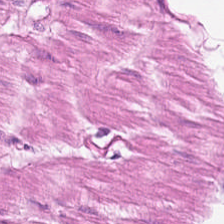This patch shows smooth-muscle tissue.
